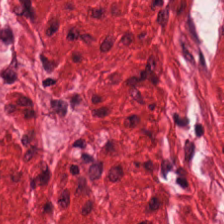0.5 µm/px · H&E · WSI patch. Q: What is shown in this field?
A: This is smooth muscle.
